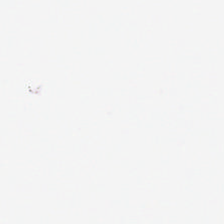Hematoxylin-and-eosin stained section · FFPE.
Q: What is shown in this field?
A: It is background.
